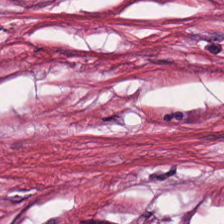H&E stain · FFPE tissue section — Classification — tumor stroma.
